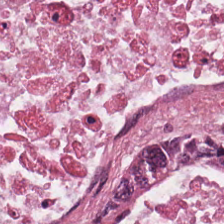Tissue = colorectal adenocarcinoma.
